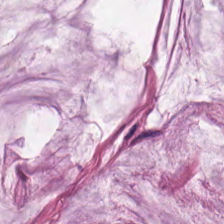H&E stain.
Tissue type = extracellular mucin.
